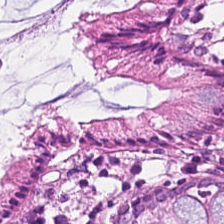Brightfield microscopy; H&E-stained tissue section.
Tissue = non-neoplastic colon mucosa.
